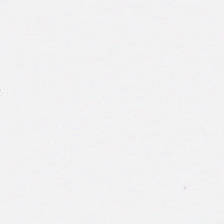H&E-stained tissue section. This field is background (no tissue).
